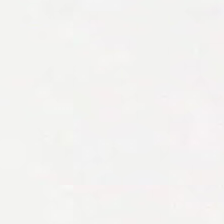Hematoxylin-and-eosin stained section.
Background — no tissue in this field.
